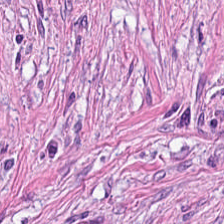Hematoxylin and eosin — Q: What is shown here?
A: The field shows desmoplastic stroma.
